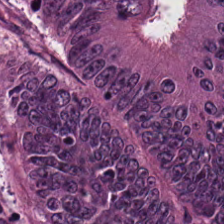Hematoxylin and eosin — {"tissue_type": "colorectal adenocarcinoma"}
